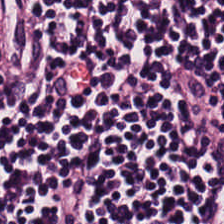0.5 µm/px. H&E-stained tissue section — This field is lymphocyte aggregate.
